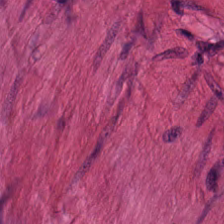224×224 pixel tile · hematoxylin and eosin · 0.5 µm/px. The classification is smooth-muscle tissue.
